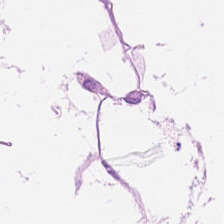Hematoxylin and eosin. 224×224 px tile. Adipose tissue.
